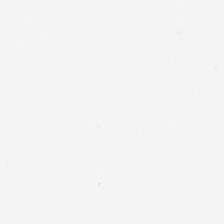H&E-stained tissue section — No tissue.
